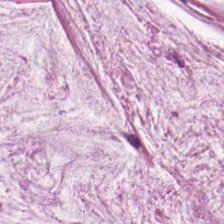Hematoxylin and eosin. The tissue class is extracellular mucin.
